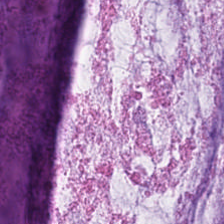Hematoxylin and eosin — Q: What is the predominant tissue type?
A: It is mucin.
